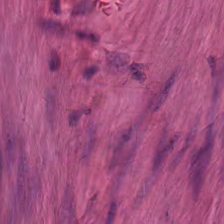224×224 px patch; hematoxylin-and-eosin stained section.
Smooth muscle.
